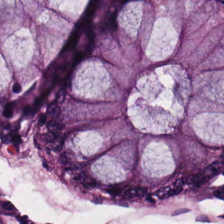H&E-stained section; the field shows non-neoplastic colon mucosa.
